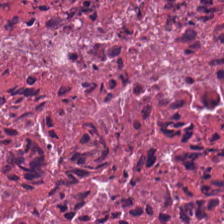Hematoxylin-and-eosin stained section — {"tissue_type": "debris"}
